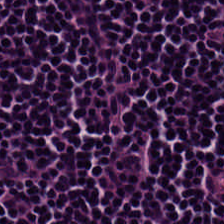H&E. Tissue type — lymphocytes.
